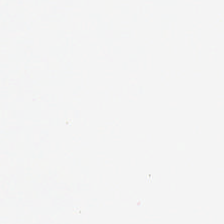{"content": "background (no tissue)"}
